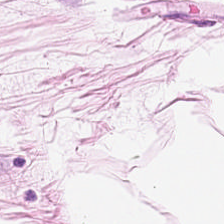Stain: H&E stain.
Acquisition: brightfield microscopy.
Tissue: adipose.
